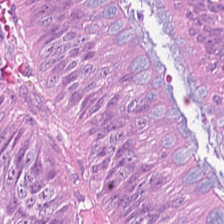Brightfield microscopy; H&E-stained tissue section.
This field is malignant epithelium.
